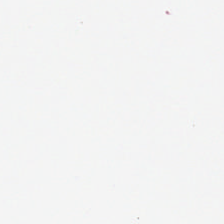224×224 px patch. FFPE. H&E — Impression — background (no tissue).
